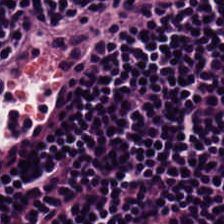Histology → lymphocytes.
